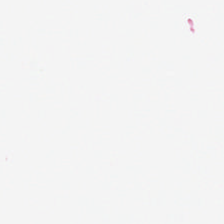Hematoxylin and eosin. Classification — background.
